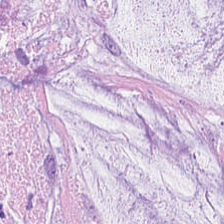H&E-stained tissue section; formalin-fixed paraffin-embedded section; 0.5 µm per pixel.
Q: What type of tissue is this?
A: This is mucus.
